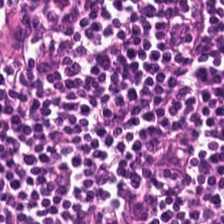Hematoxylin and eosin. Showing lymphocytes.
